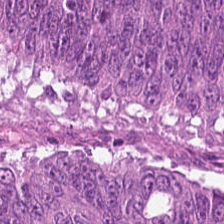H&E-stained tissue section; 0.5 microns per pixel.
Finding → colorectal adenocarcinoma epithelium.
